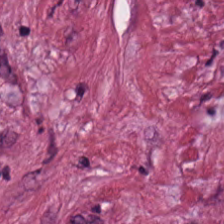Formalin-fixed paraffin-embedded section. 20× equivalent magnification. Hematoxylin-and-eosin stained section.
Classification — tumor stroma.
